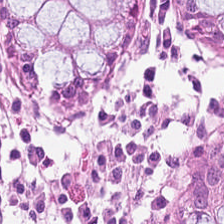Hematoxylin and eosin; 224×224 pixel tile — Showing normal colonic mucosa.
